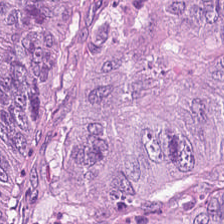H&E-stained tissue section — Predominant tissue = malignant epithelium.
